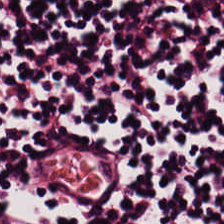Hematoxylin-and-eosin stained section. 0.5 microns per pixel. The tissue is lymphocyte aggregate.
